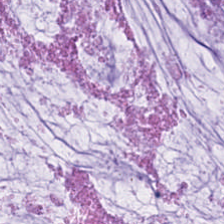H&E stain; 0.5 microns per pixel — Extracellular mucin.
